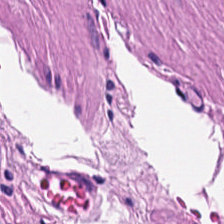Hematoxylin and eosin.
The tissue here is muscularis.
